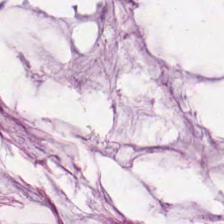0.5 µm/px. Whole-slide-image patch. H&E-stained tissue section — Q: Identify the tissue.
A: Mucin.
